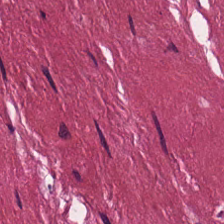Impression — desmoplastic stroma.
